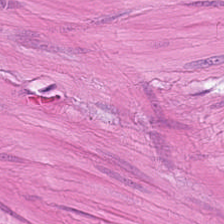H&E stain; FFPE; brightfield microscopy. The tissue class is muscularis.
